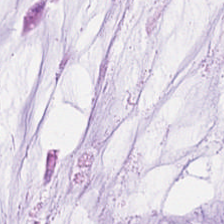H&E-stained tissue section. 224×224 pixel tile.
Tissue = mucus.
